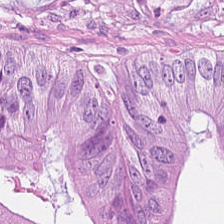H&E stain.
Finding — malignant epithelium.
